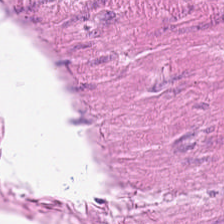H&E — Tissue = smooth-muscle tissue.
